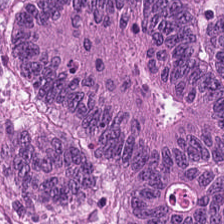H&E. Q: What type of tissue is this?
A: It is colorectal adenocarcinoma.
